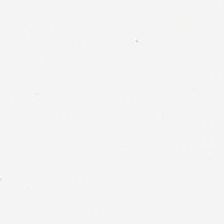H&E.
Finding → background (no tissue).
